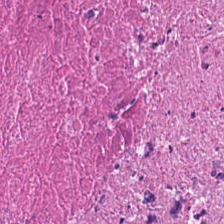Hematoxylin-and-eosin stained section; WSI patch.
Predominant tissue = necrotic debris.
